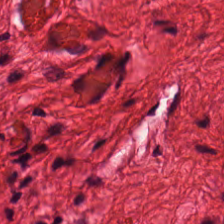FFPE tissue section; hematoxylin-and-eosin stained section.
This patch shows smooth muscle.
